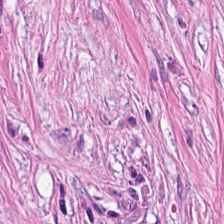Hematoxylin and eosin.
{"tissue_type": "desmoplastic stroma"}
